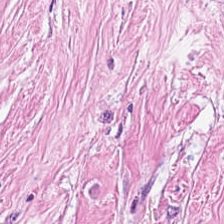Hematoxylin and eosin. This patch shows desmoplastic stroma.
